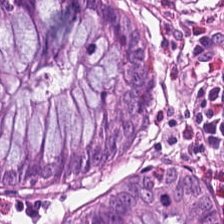Predominantly non-neoplastic colon mucosa.
